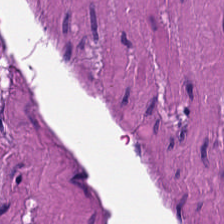224×224 px patch · 0.5 microns per pixel · H&E.
This field is smooth-muscle tissue.
